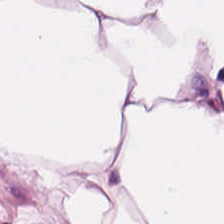H&E-stained tissue section. Tissue — adipose tissue.
